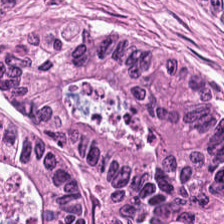Hematoxylin and eosin.
{"tissue_type": "colorectal adenocarcinoma epithelium"}
